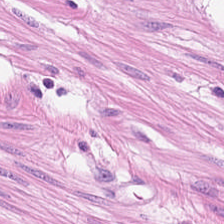Classification: smooth-muscle tissue.
